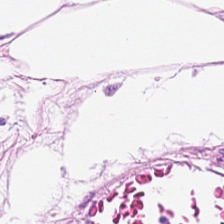H&E stain; 224×224 pixel tile; WSI patch — Q: What tissue type is shown here?
A: The field shows adipose tissue.
